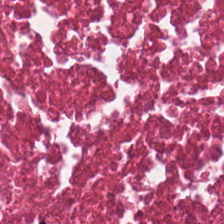H&E stain. The tissue is cellular debris.
